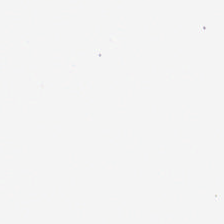H&E; 224×224 px patch. Field content = empty background.
